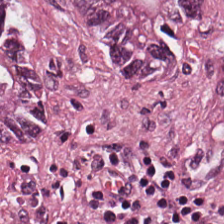Classification: colorectal adenocarcinoma epithelium.
